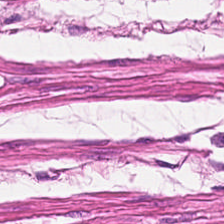Tissue class: smooth-muscle tissue.
